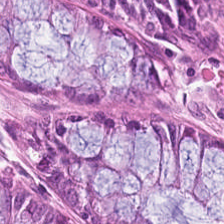0.5 microns per pixel; hematoxylin-and-eosin stained section. Q: What tissue type is shown here?
A: This is normal colon mucosa.
